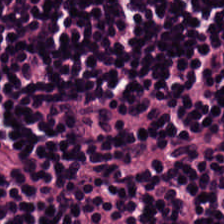20× equivalent magnification; hematoxylin and eosin; 224×224 px patch. This patch shows lymphocyte aggregate.
